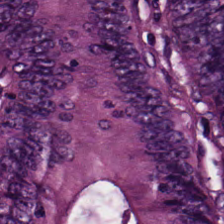H&E. This field is colorectal adenocarcinoma epithelium.
